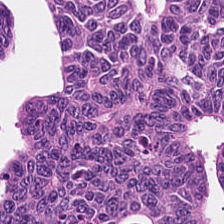FFPE tissue section; hematoxylin-and-eosin stained section.
Showing malignant epithelium.
